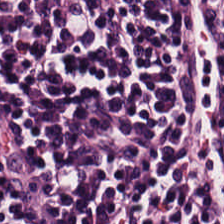H&E-stained tissue section. Q: What tissue type is shown here?
A: Lymphocytic infiltrate.
